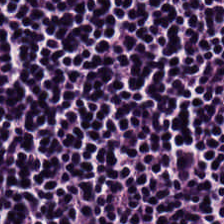Hematoxylin-and-eosin stained section.
Predominantly lymphoid infiltrate.
